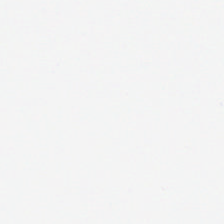Stain: hematoxylin-and-eosin stained section.
Content: no tissue.
